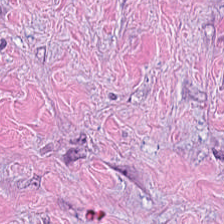H&E-stained tissue section · 0.5 µm per pixel. Q: What is shown here?
A: The field shows tumor-associated stroma.
